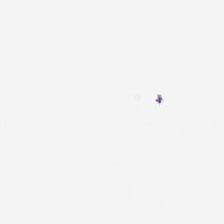0.5 microns per pixel. H&E. Classification: background (no tissue).
